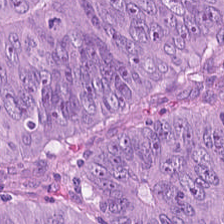H&E. Impression — adenocarcinoma.
